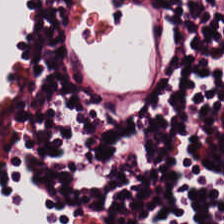H&E stain.
The tissue here is lymphocytic infiltrate.
